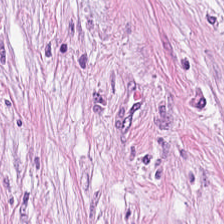Cancer-associated stroma.
